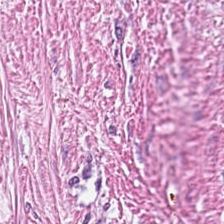Hematoxylin and eosin — Q: What does this patch show?
A: Cancer-associated stroma.
